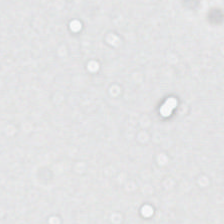Hematoxylin-and-eosin stained section. 0.5 µm/px. Brightfield microscopy.
Field content — background (no tissue).
